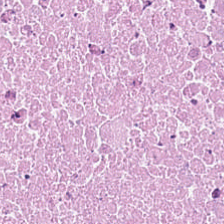Hematoxylin and eosin — The tissue is debris.
